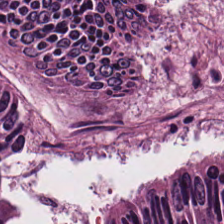Stain: H&E-stained tissue section.
Classification: tumor epithelium.
